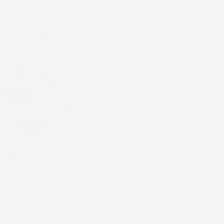H&E-stained tissue section — Field content = background.
